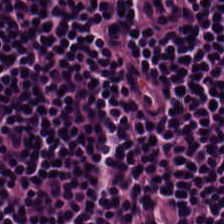Stain: H&E stain.
Tissue class: lymphocytes.
